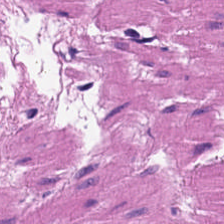Classification = muscularis.
